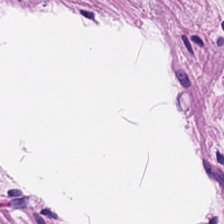H&E. Whole-slide-image patch. Impression — smooth-muscle tissue.
